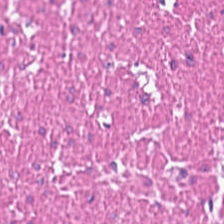Hematoxylin-and-eosin stained section. Brightfield microscopy. Predominantly smooth-muscle tissue.
